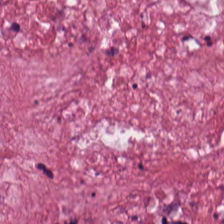H&E-stained tissue section. Tissue type — desmoplastic stroma.
